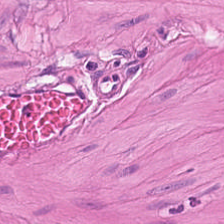Hematoxylin and eosin; 20× equivalent magnification. This field is muscularis.
